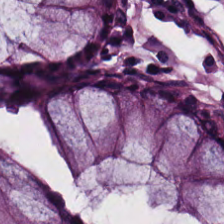Tissue — normal colon mucosa.
